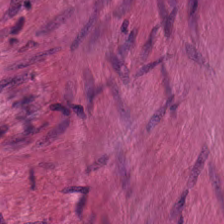Hematoxylin-and-eosin stained section.
The predominant tissue is smooth muscle.
